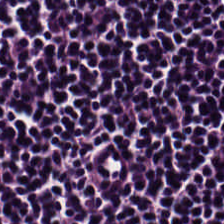Predominant tissue = lymphocytes.
